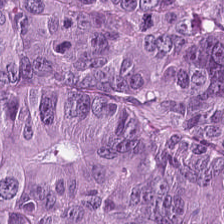Hematoxylin-and-eosin stained section. The tissue here is colorectal adenocarcinoma epithelium.
